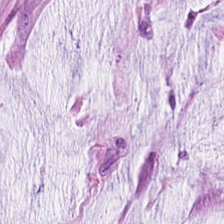H&E. The predominant tissue is mucin.
